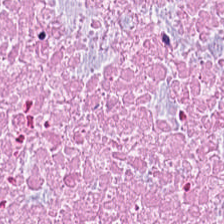Hematoxylin-and-eosin stained section.
Q: What tissue type is shown here?
A: The field shows cellular debris.
